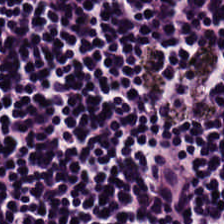Hematoxylin-and-eosin stained section. Predominantly lymphocytic infiltrate.
